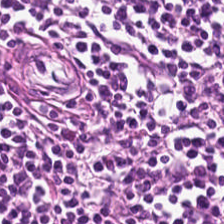Hematoxylin-and-eosin stained section. Brightfield. 0.5 µm/px.
{"tissue_type": "lymphocytes"}
